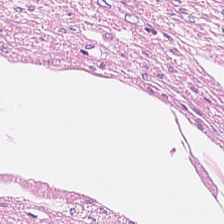The tissue here is smooth muscle.
